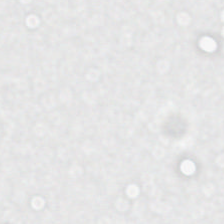Hematoxylin-and-eosin stained section. {"content": "background"}
